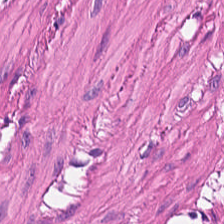Hematoxylin-and-eosin stained section · brightfield microscopy — Tissue type: smooth muscle.
